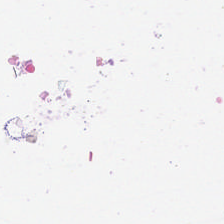H&E-stained tissue section — Content: empty background.
